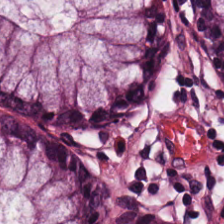H&E-stained tissue section — Classification = benign colonic mucosa.
